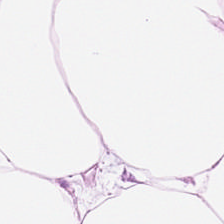Tissue type — adipose tissue.
